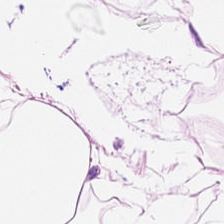Hematoxylin and eosin; 224×224 pixel tile; WSI patch — This patch shows adipose tissue.
